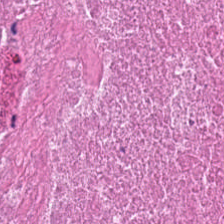Q: What tissue is shown?
A: The field shows necrotic debris.
